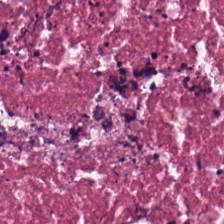H&E stain. Brightfield microscopy — Histology → debris.
